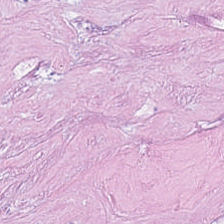H&E-stained tissue section. The tissue here is cellular debris.
